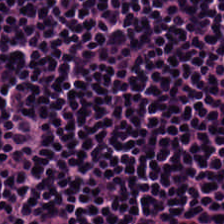The tissue is lymphocytes.
